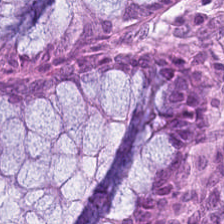{"tissue_type": "benign colonic mucosa"}
